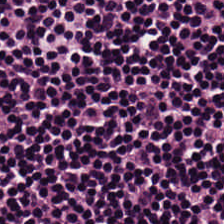H&E. The tissue here is lymphocytes.
